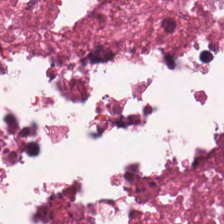Tissue type: debris.
